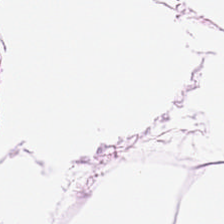Stain: H&E-stained tissue section.
Classification: adipocytes.
